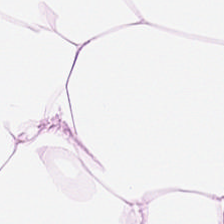H&E stain — Showing fat tissue.
